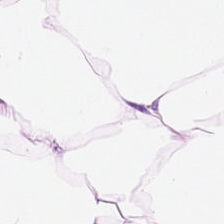H&E-stained section; the field shows adipose.
